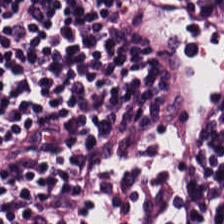224×224 pixel tile; H&E; whole-slide-image patch — Q: What is shown here?
A: This is lymphoid infiltrate.
